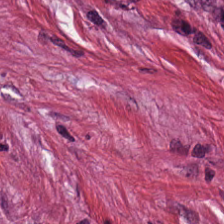Hematoxylin-and-eosin stained section.
Classification = tumor-associated stroma.
